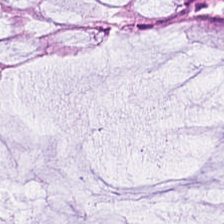H&E-stained tissue section — Finding — normal colon mucosa.
